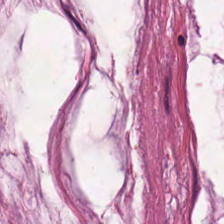This patch shows extracellular mucin.
